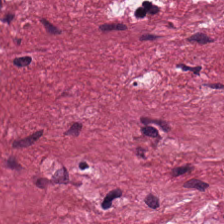Hematoxylin and eosin. Tissue: cancer-associated stroma.
